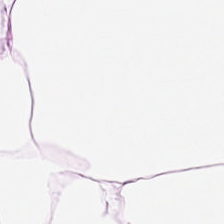H&E.
Tissue type — fat tissue.
